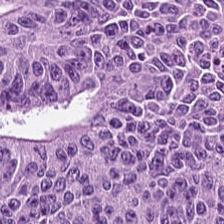H&E stain — Malignant epithelium.
